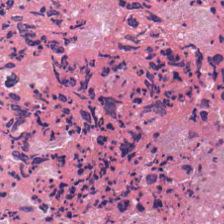H&E stain. Q: What is shown here?
A: The field shows debris.
